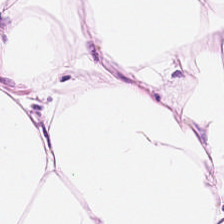H&E.
Histology → adipose tissue.
